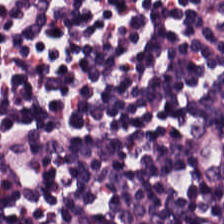Showing lymphocyte aggregate.
